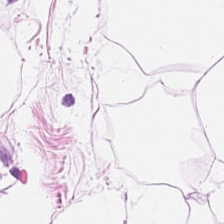H&E stain. This patch shows adipose tissue.
